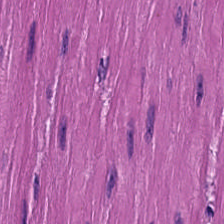Stain: H&E stain.
Tissue class: muscularis.
